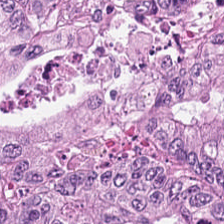Hematoxylin and eosin. This field is malignant epithelium.
